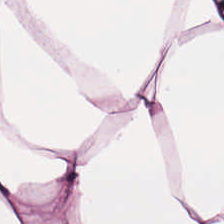H&E stain. This patch shows adipose.
